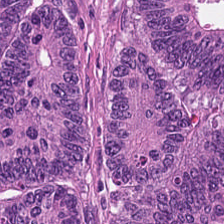The predominant tissue is adenocarcinoma.
